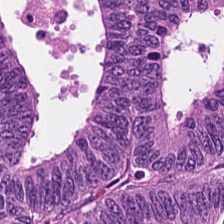{"tissue_type": "tumor epithelium"}
